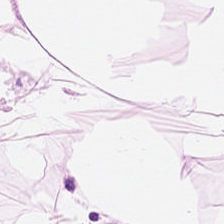Stain: hematoxylin and eosin.
Resolution: 20× equivalent magnification.
Tissue type: fat tissue.
